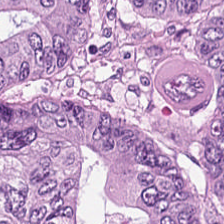The classification is colorectal adenocarcinoma.
